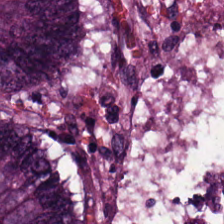Stain: H&E stain.
Preparation: FFPE.
Classification: adenocarcinoma.
